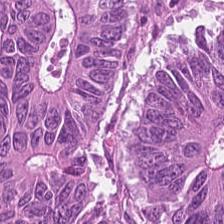H&E.
This field is adenocarcinoma.
